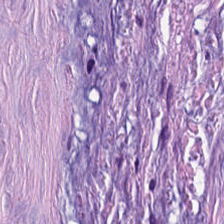H&E-stained tissue section · FFPE tissue section. Classification — tumor stroma.
